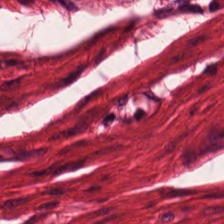Tissue — muscularis.
